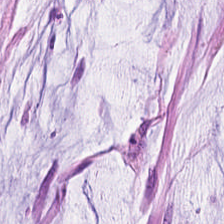H&E-stained tissue section.
Tissue type = mucus.
